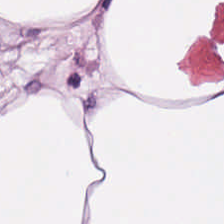Hematoxylin and eosin — Finding → fat tissue.
